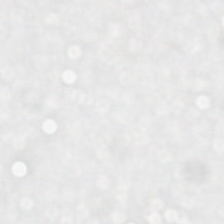H&E stain — This patch shows background (no tissue).
